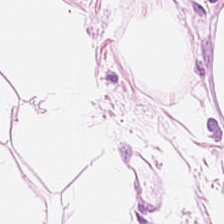Hematoxylin and eosin. The tissue is adipocytes.
